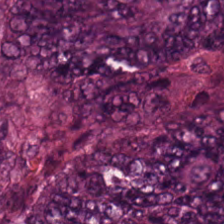Stain: H&E-stained tissue section.
Classification: mucin.
